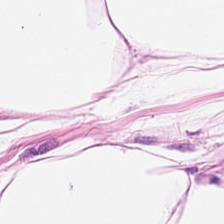Stain: hematoxylin and eosin.
Preparation: FFPE tissue section.
Tissue class: adipose.
